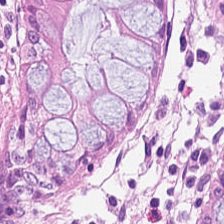Q: What type of tissue is this?
A: This is benign colonic mucosa.
